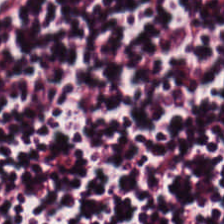H&E stain.
The predominant tissue is lymphocytic infiltrate.
